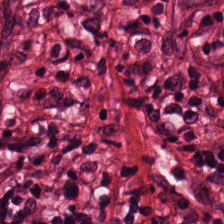This field is tumor-associated stroma.
